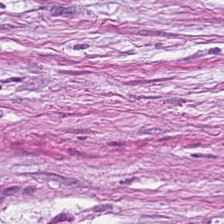H&E-stained tissue section — Tissue type — tumor-associated stroma.
